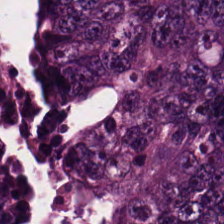FFPE; H&E-stained tissue section — The tissue class is tumor epithelium.
